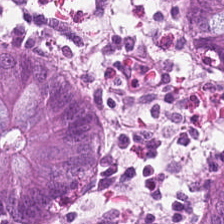H&E-stained tissue section — Predominant tissue: non-neoplastic colon mucosa.
